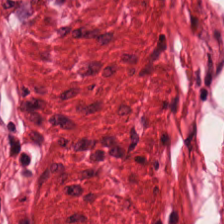0.5 microns per pixel. Hematoxylin and eosin. 224×224 pixel tile. Smooth-muscle tissue.
